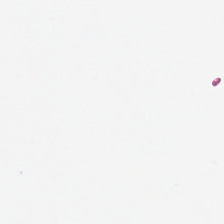Stain: H&E stain.
Content: empty background.
